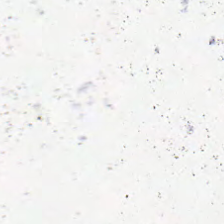Background — no tissue in this field.
